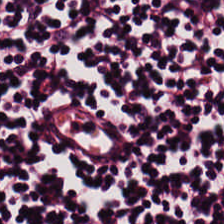Brightfield microscopy · H&E-stained tissue section. The tissue class is lymphocyte aggregate.
